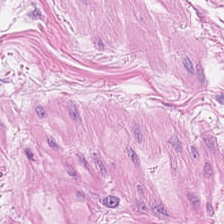224×224 px patch; whole-slide-image patch; H&E.
This patch shows smooth muscle.
